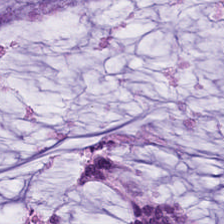Classification — extracellular mucin.
